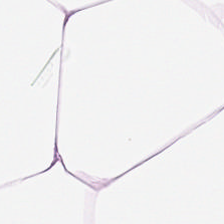Tissue: adipocytes.
